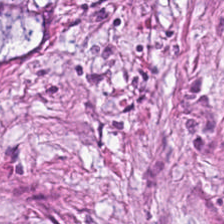H&E stain · 0.5 µm/px. The predominant tissue is tumor-associated stroma.
